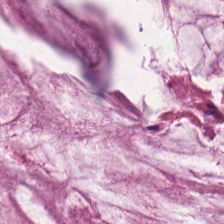Finding — extracellular mucin.
